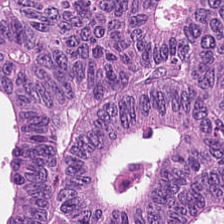Hematoxylin and eosin. 224×224 px patch. FFPE tissue section. Adenocarcinoma.
